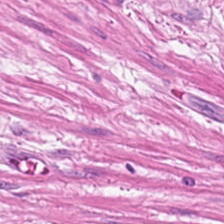0.5 microns per pixel; H&E-stained tissue section. The tissue class is smooth-muscle tissue.
